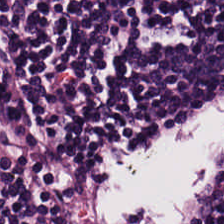Classification — lymphoid infiltrate.
